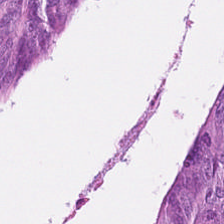Formalin-fixed paraffin-embedded section; H&E-stained tissue section — Predominantly adenocarcinoma.
